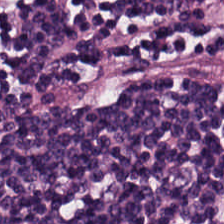H&E. Q: What tissue is shown?
A: Lymphocyte aggregate.
